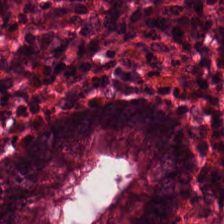224×224 px patch · hematoxylin-and-eosin stained section — Q: What is shown in this field?
A: Non-neoplastic colon mucosa.
